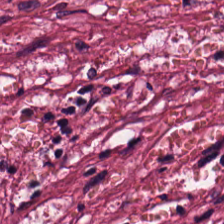Stain: hematoxylin and eosin.
Tissue type: tumor-associated stroma.
